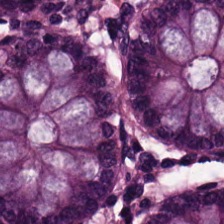The tissue here is benign colonic mucosa.
